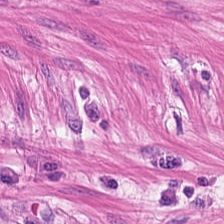H&E stain; formalin-fixed paraffin-embedded section — Predominantly smooth-muscle tissue.
